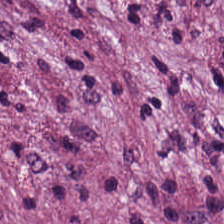Finding — cancer-associated stroma.
